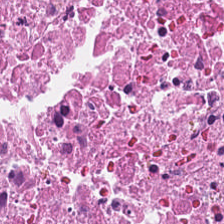Brightfield microscopy; hematoxylin-and-eosin stained section; formalin-fixed paraffin-embedded section. Q: What tissue is shown?
A: The field shows cellular debris.
